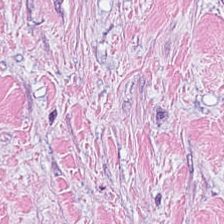Hematoxylin-and-eosin stained section. Cancer-associated stroma.
